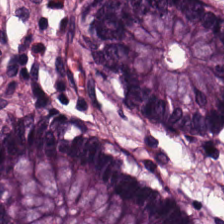224×224 px tile · hematoxylin-and-eosin stained section.
This patch shows normal colonic mucosa.
